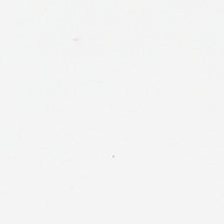Formalin-fixed paraffin-embedded section · H&E-stained tissue section.
No tissue present; background only.
